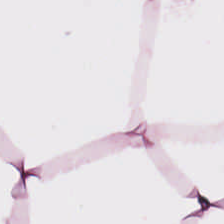Stain: hematoxylin-and-eosin stained section.
Acquisition: brightfield.
Resolution: 20× equivalent magnification.
Predominant tissue: adipose tissue.
